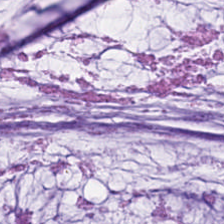Hematoxylin and eosin.
Classification = mucus.
